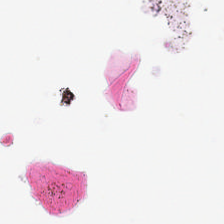Hematoxylin-and-eosin stained section · 224×224 pixel tile · FFPE — Background — no tissue in this field.
